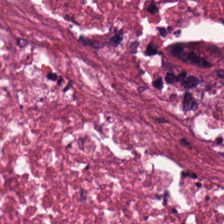H&E · 0.5 microns per pixel. The classification is debris.
